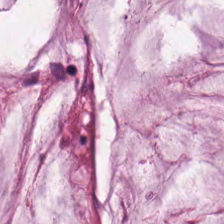FFPE tissue section; hematoxylin-and-eosin stained section — Mucin.
